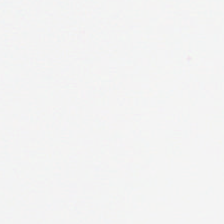H&E stain.
This field is background (no tissue).
